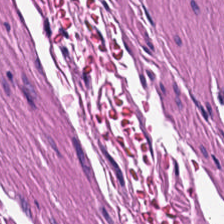Whole-slide-image patch. Hematoxylin and eosin.
Tissue — smooth muscle.
